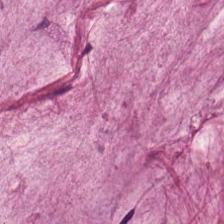H&E. Classification — extracellular mucin.
